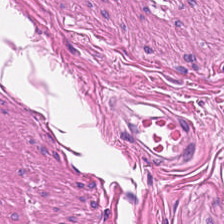Classification — muscularis.
